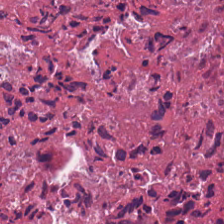Hematoxylin and eosin; FFPE — Finding — necrotic debris.
